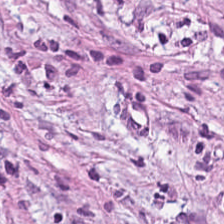H&E.
Finding — tumor stroma.
